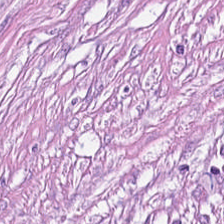FFPE. H&E-stained tissue section. 224×224 px patch. Predominantly desmoplastic stroma.
